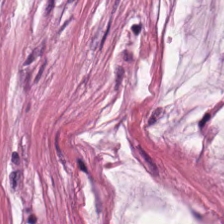Hematoxylin-and-eosin stained section — This patch shows mucin.
